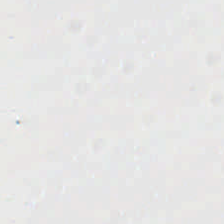The field content is background (no tissue).
